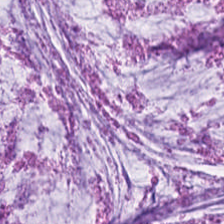Q: Identify the tissue.
A: The field shows mucus.
